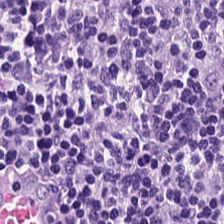0.5 µm/px; hematoxylin-and-eosin stained section. Q: What tissue is shown?
A: This is lymphocytic infiltrate.
